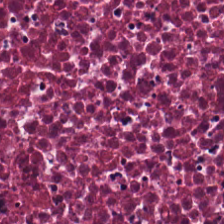Hematoxylin and eosin.
Tissue type — debris.
